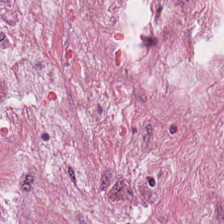FFPE tissue section. Hematoxylin-and-eosin stained section. 0.5 microns per pixel.
Q: What does this patch show?
A: This is tumor-associated stroma.
